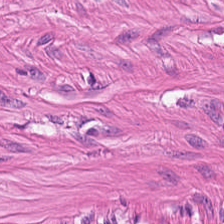Q: What does this patch show?
A: It is muscularis.
